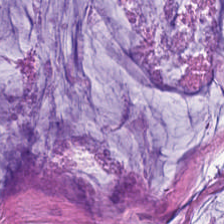H&E stain.
Extracellular mucin.
